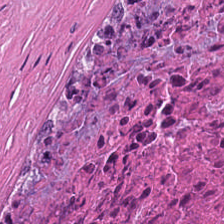H&E-stained tissue section · FFPE — Impression — cellular debris.
